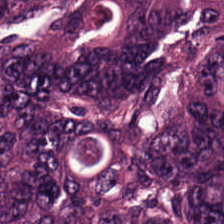H&E. Tissue type = tumor epithelium.
